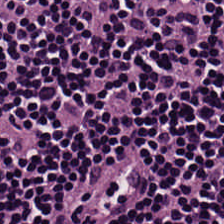WSI patch; 20× equivalent magnification; H&E-stained tissue section — Lymphocytic infiltrate.
